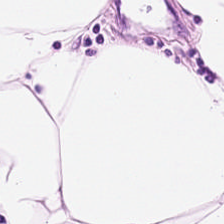Hematoxylin and eosin · formalin-fixed paraffin-embedded section. Predominantly fat tissue.
